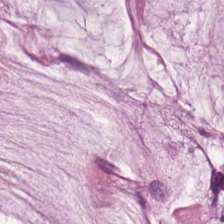H&E. FFPE. 224×224 pixel tile. Mucus.
